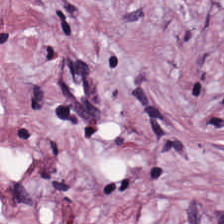Stain: H&E-stained tissue section.
Tile size: 224×224 px tile.
Tissue class: tumor stroma.
